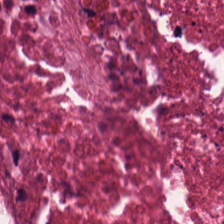Hematoxylin-and-eosin stained section — This field is necrotic debris.
